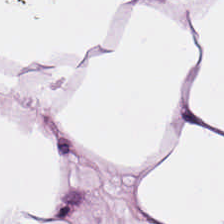Brightfield. 0.5 µm/px. H&E-stained tissue section.
The tissue is adipose.
